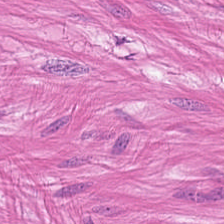Finding → smooth-muscle tissue.
